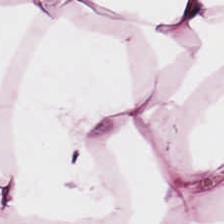H&E stain. 0.5 µm/px. The tissue is adipose.
